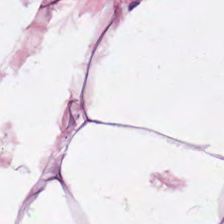Stain: H&E.
Resolution: 0.5 µm per pixel.
Classification: fat tissue.
